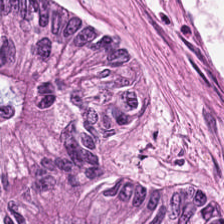Hematoxylin-and-eosin stained section; formalin-fixed paraffin-embedded section. This patch shows colorectal adenocarcinoma epithelium.
